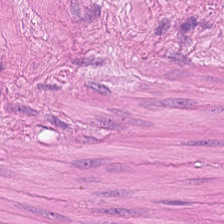Stain: H&E stain.
Classification: smooth-muscle tissue.
